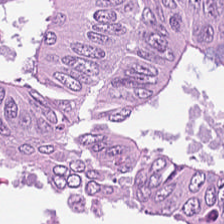Formalin-fixed paraffin-embedded section; H&E. Showing malignant epithelium.
